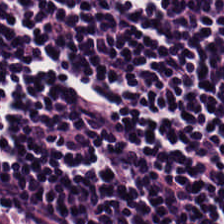The tissue here is lymphoid infiltrate.
